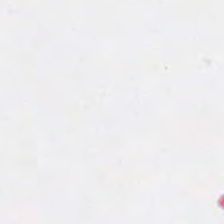Hematoxylin and eosin; WSI patch.
Content: empty background.
